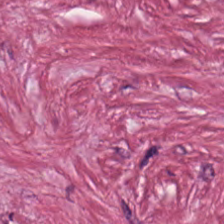The tissue here is cancer-associated stroma.
